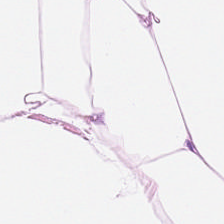Classification: fat tissue.
